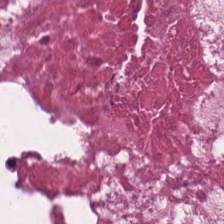H&E stain. This field is debris.
